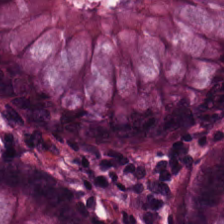H&E stain. Tissue: normal colonic mucosa.
